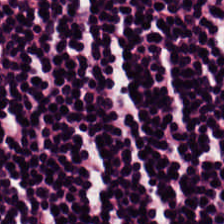H&E stain — Tissue class — lymphocytes.
